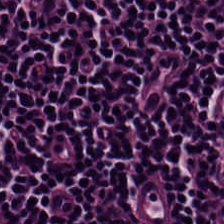H&E — Q: What is shown in this field?
A: The field shows lymphocytic infiltrate.
